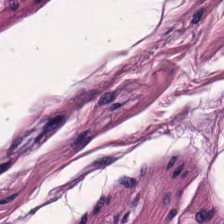Stain: hematoxylin and eosin.
Resolution: 0.5 µm/px.
Acquisition: brightfield.
Tissue class: smooth-muscle tissue.
